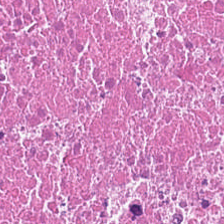Brightfield microscopy; H&E.
Finding — necrotic debris.
